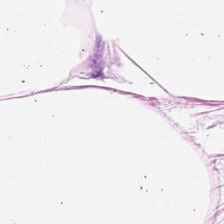FFPE tissue section · hematoxylin-and-eosin stained section.
Tissue type: adipose tissue.
